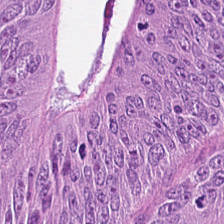H&E-stained tissue section; 224×224 pixel tile — Classification = colorectal adenocarcinoma.
